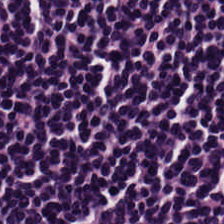The predominant tissue is lymphocyte aggregate.
